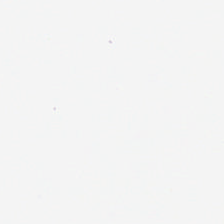0.5 µm/px; hematoxylin and eosin.
No tissue present; background only.
